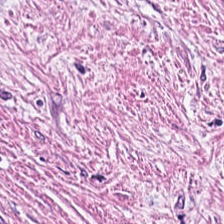0.5 µm/px. Hematoxylin-and-eosin stained section. 224×224 px tile. This patch shows desmoplastic stroma.
